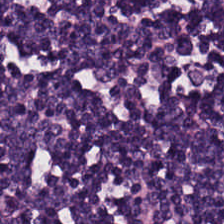Stain: hematoxylin and eosin.
Tile size: 224×224 px tile.
Tissue type: lymphocytic infiltrate.
